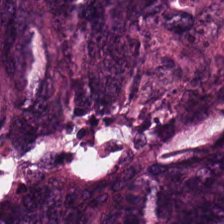Hematoxylin-and-eosin stained section; FFPE tissue section. Predominantly colorectal adenocarcinoma epithelium.
